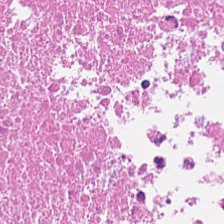Q: What type of tissue is this?
A: It is cellular debris.
